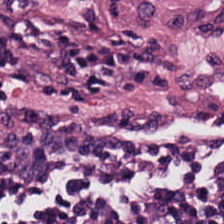Predominantly lymphocytic infiltrate.
